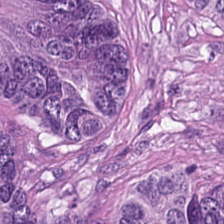FFPE tissue section · 224×224 px tile · hematoxylin and eosin.
This field is tumor epithelium.
